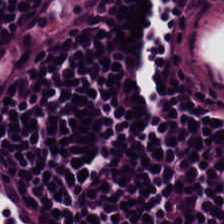Hematoxylin-and-eosin stained section. Q: What tissue is shown?
A: It is lymphocyte aggregate.
